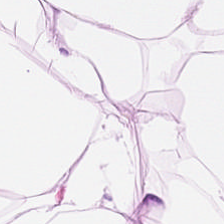H&E-stained tissue section — Predominant tissue: fat tissue.
